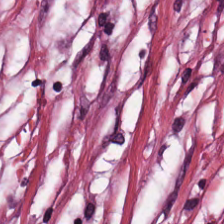Hematoxylin-and-eosin stained section.
The classification is cancer-associated stroma.
